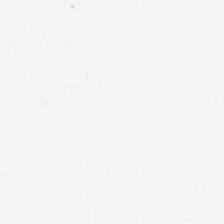Hematoxylin and eosin — This field is background (no tissue).
